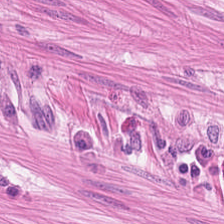Hematoxylin-and-eosin stained section; 0.5 µm per pixel. {"tissue_type": "muscularis"}
